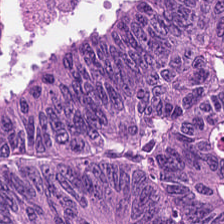Stain: H&E.
Predominant tissue: colorectal adenocarcinoma epithelium.
